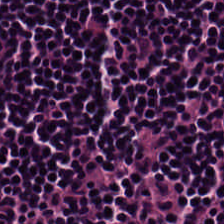H&E. Impression — lymphocytic infiltrate.
